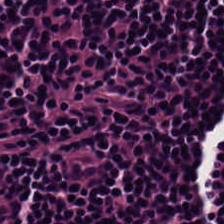H&E — lymphoid infiltrate.
